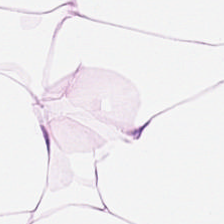0.5 µm/px · H&E-stained tissue section. The tissue here is adipocytes.
